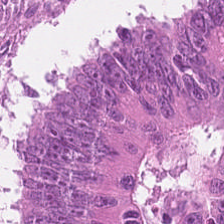Formalin-fixed paraffin-embedded section. H&E stain. Whole-slide-image patch — Malignant epithelium.
